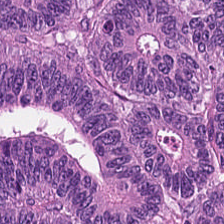Tissue = malignant epithelium.
